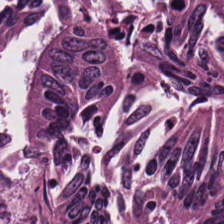H&E — The classification is colorectal adenocarcinoma.
